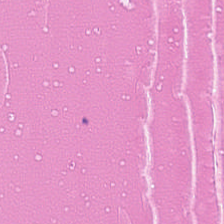H&E. Histology — cellular debris.
